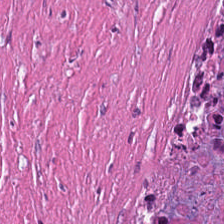Hematoxylin and eosin — Necrotic debris.
